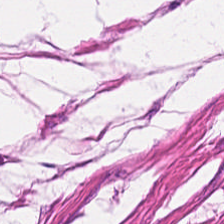Hematoxylin and eosin.
Q: What tissue is shown?
A: Smooth-muscle tissue.
